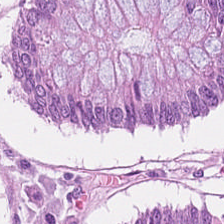20× equivalent magnification; hematoxylin and eosin.
Normal colon mucosa.
